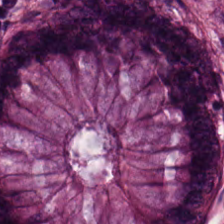0.5 µm per pixel; H&E-stained tissue section.
This patch shows benign colonic mucosa.
